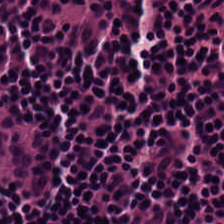H&E-stained tissue section; brightfield microscopy. Tissue type = lymphoid infiltrate.
